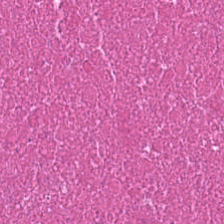H&E stain; 0.5 µm per pixel — The predominant tissue is debris.
